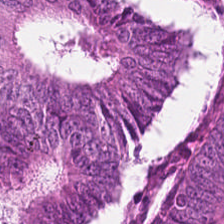H&E-stained tissue section · WSI patch · 224×224 px tile — {"tissue_type": "adenocarcinoma"}
